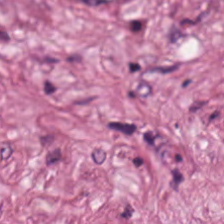H&E.
Showing desmoplastic stroma.
